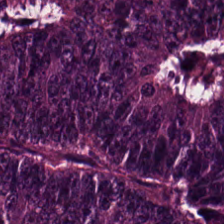Hematoxylin and eosin · whole-slide-image patch · 0.5 µm/px.
Predominantly colorectal adenocarcinoma.
